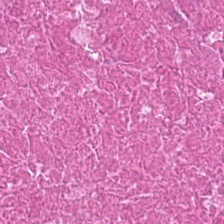This patch shows necrotic debris.
